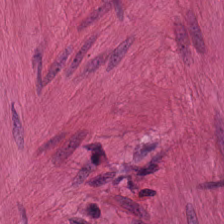The tissue class is smooth-muscle tissue.
